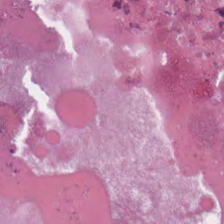Stain: hematoxylin and eosin.
Tile size: 224×224 px patch.
Predominant tissue: debris.
